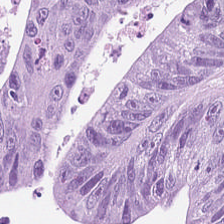Hematoxylin-and-eosin stained section; brightfield microscopy.
Showing tumor epithelium.
